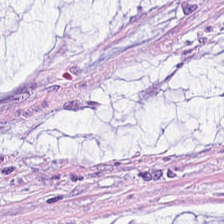H&E patch showing mucin.
